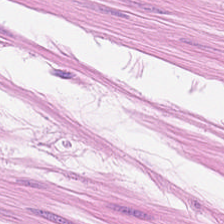Hematoxylin and eosin.
The tissue is smooth muscle.
